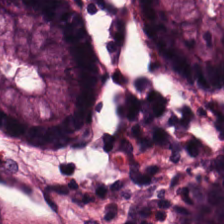Formalin-fixed paraffin-embedded section. Hematoxylin and eosin. WSI patch — This field is normal colon mucosa.
